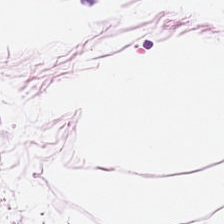Stain: H&E stain.
Acquisition: whole-slide-image patch.
Tissue type: adipocytes.
